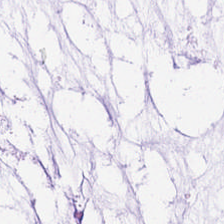H&E stain. Predominantly mucin.
